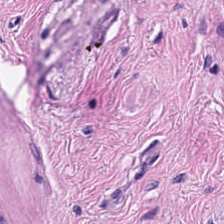H&E-stained tissue section; 20× equivalent magnification — Impression — muscularis.
